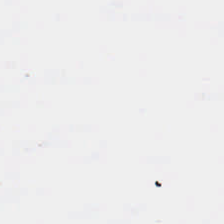H&E-stained tissue section.
{"content": "empty background"}
